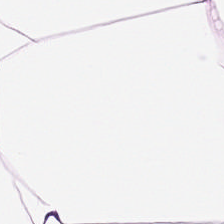H&E. Q: Classify this patch.
A: This is adipocytes.
